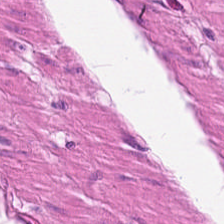224×224 pixel tile · FFPE tissue section · H&E stain — Finding → smooth-muscle tissue.
